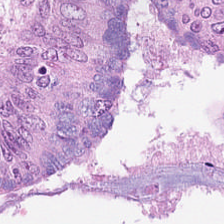Stain: hematoxylin-and-eosin stained section.
Classification: colorectal adenocarcinoma.
